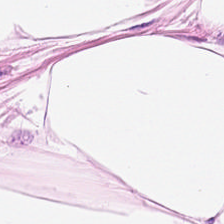Hematoxylin-and-eosin stained section. 224×224 pixel tile. {"tissue_type": "adipose"}
